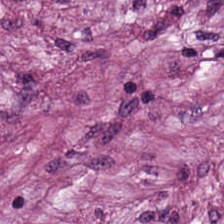Hematoxylin and eosin — Q: What is shown here?
A: This is desmoplastic stroma.
